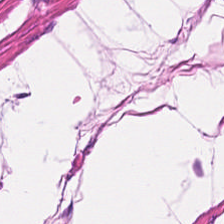Hematoxylin and eosin — Q: What is shown here?
A: The field shows smooth-muscle tissue.
